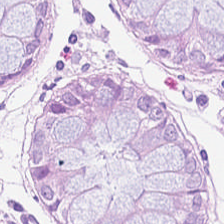H&E-stained tissue section. Formalin-fixed paraffin-embedded section. 224×224 px patch. The tissue here is non-neoplastic colon mucosa.
